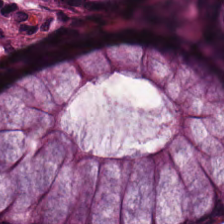Q: What does this patch show?
A: This is benign colonic mucosa.
